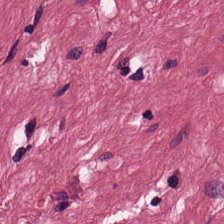Hematoxylin and eosin — Histology → tumor stroma.
